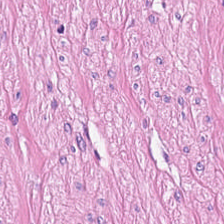224×224 px patch. 20× equivalent magnification. H&E-stained tissue section. Tissue class = smooth-muscle tissue.
